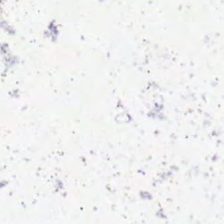Background — no tissue in this field.
